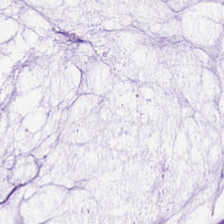Stain: H&E-stained tissue section.
Classification: mucin.
